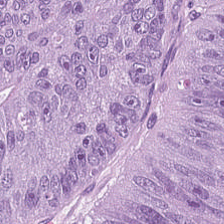Histology → malignant epithelium.
